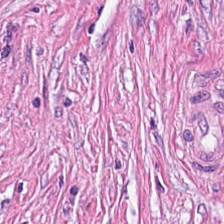Showing desmoplastic stroma.
